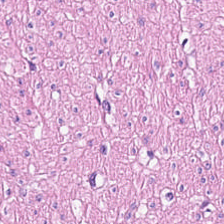H&E stain — This patch shows smooth muscle.
